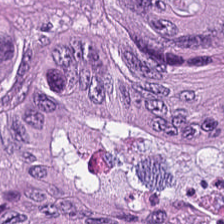H&E-stained tissue section; FFPE.
Classification = adenocarcinoma.
